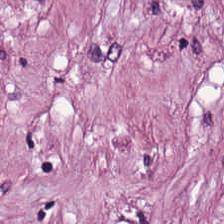0.5 µm/px. 224×224 px patch. Hematoxylin and eosin. This field is desmoplastic stroma.
